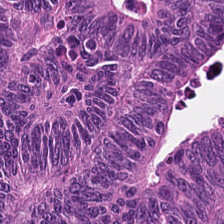H&E. 0.5 µm per pixel — Q: What is shown here?
A: This is colorectal adenocarcinoma.
